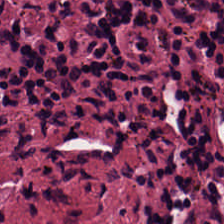224×224 px tile · hematoxylin-and-eosin stained section. Tissue: lymphocytic infiltrate.
